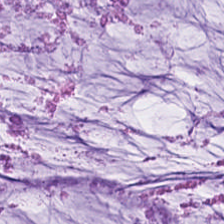H&E-stained tissue section · FFPE.
The classification is mucin.
